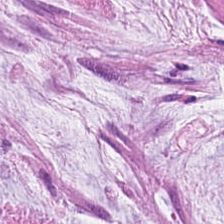H&E. WSI patch. Classification — mucin.
